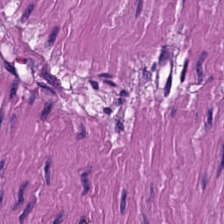Brightfield. FFPE tissue section. Hematoxylin and eosin. Q: What does this patch show?
A: It is smooth-muscle tissue.
